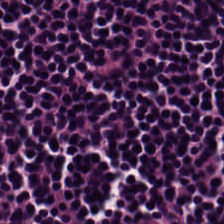Hematoxylin and eosin.
Finding — lymphocyte aggregate.
